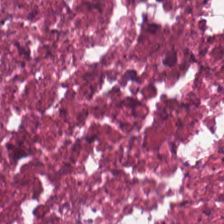Classification: cellular debris.
